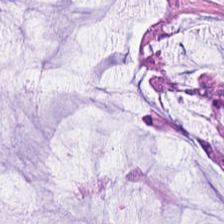Hematoxylin-and-eosin stained section — Predominant tissue — extracellular mucin.
